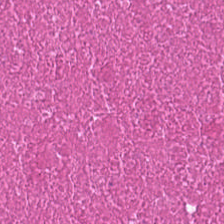224×224 px tile · H&E.
This field is cellular debris.
